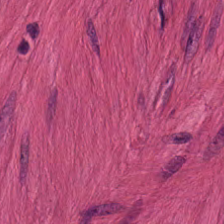Stain: H&E-stained tissue section.
Tissue class: smooth-muscle tissue.
